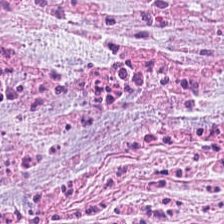Histology — desmoplastic stroma.
